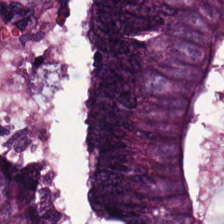Whole-slide-image patch · hematoxylin and eosin · 224×224 pixel tile.
Tissue class = adenocarcinoma.
